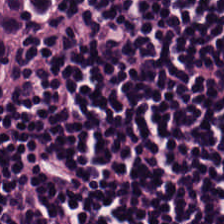H&E; 0.5 µm/px.
{"tissue_type": "lymphocyte aggregate"}
